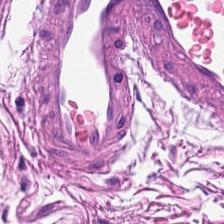Stain: H&E stain.
Tissue class: smooth muscle.
